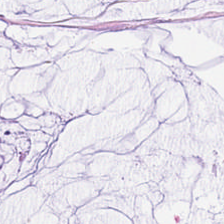Predominant tissue: mucus.
